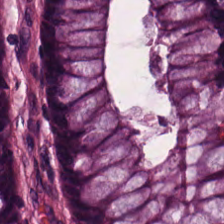Hematoxylin-and-eosin stained section · FFPE tissue section · WSI patch.
Impression → benign colonic mucosa.
